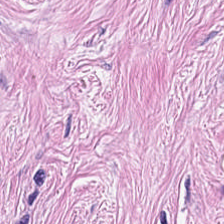FFPE. Brightfield. Hematoxylin-and-eosin stained section.
Finding → tumor-associated stroma.
